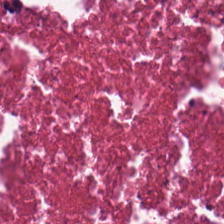Q: Classify this patch.
A: The field shows cellular debris.
